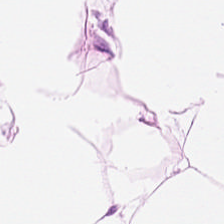Hematoxylin and eosin · 224×224 px tile — Tissue type = adipocytes.
